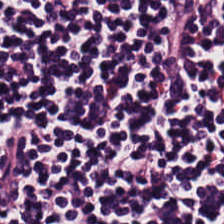H&E-stained tissue section. Q: What tissue is shown?
A: This is lymphoid infiltrate.
